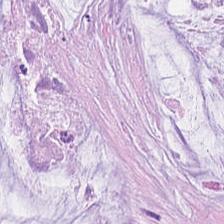H&E-stained section; the field shows mucin.
